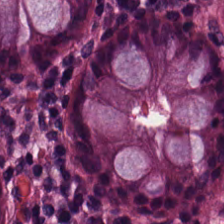H&E stain — The predominant tissue is normal colon mucosa.
